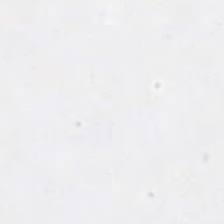0.5 microns per pixel. H&E.
Field content = no tissue.
